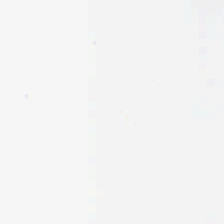Classification = empty background.
